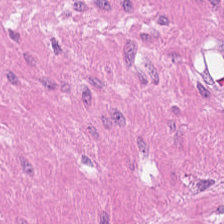Q: What is shown in this field?
A: It is muscularis.
